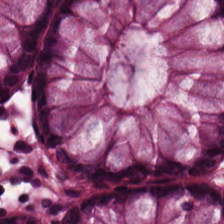H&E. The tissue here is normal colon mucosa.
